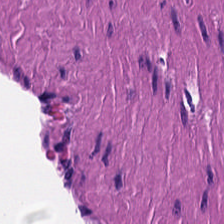H&E — This field is smooth-muscle tissue.
